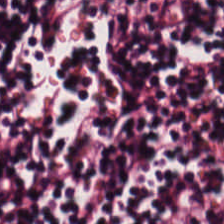H&E stain. WSI patch. 0.5 µm/px. This patch shows lymphocyte aggregate.
